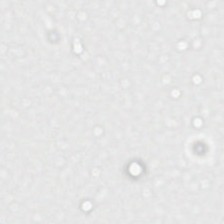FFPE. H&E stain — Field content = no tissue.
